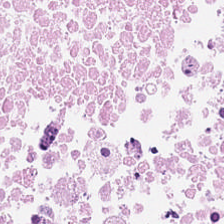H&E-stained tissue section.
{"tissue_type": "debris"}
